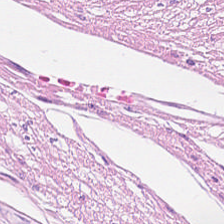H&E-stained tissue section · 224×224 px tile · WSI patch — Finding → smooth muscle.
